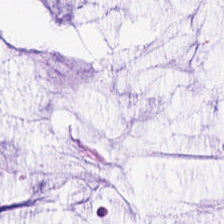Whole-slide-image patch. Hematoxylin and eosin.
The tissue is mucus.
